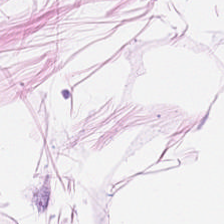Hematoxylin-and-eosin stained section. Predominant tissue = adipose.
